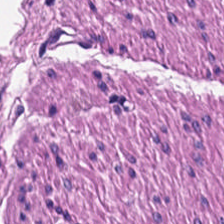Hematoxylin-and-eosin stained section. This field is smooth muscle.
